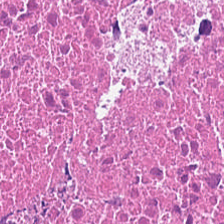H&E-stained tissue section · 224×224 px patch.
Finding → cellular debris.
